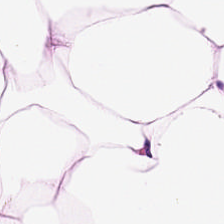Q: What type of tissue is this?
A: The field shows adipocytes.
